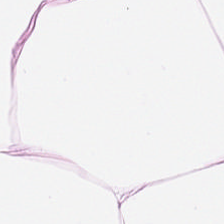FFPE tissue section. Hematoxylin-and-eosin stained section — Fat tissue.
